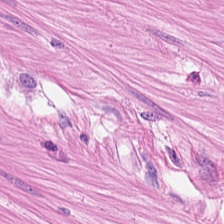Tissue — smooth-muscle tissue.
